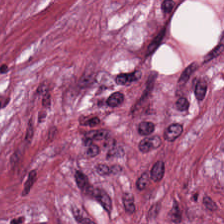H&E. {"tissue_type": "tumor stroma"}
